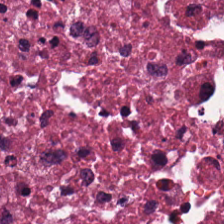Stain: H&E stain.
Classification: cellular debris.
